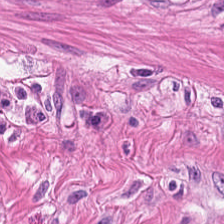Impression — muscularis.
